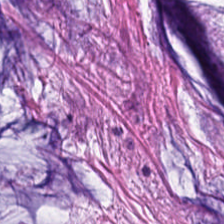Formalin-fixed paraffin-embedded section. H&E. Extracellular mucin.
